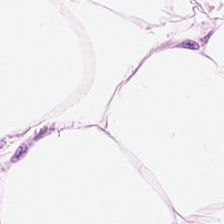Hematoxylin and eosin.
Predominantly fat tissue.
